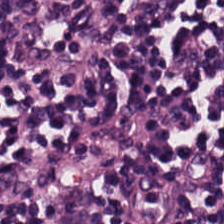Hematoxylin-and-eosin stained section. Q: What does this patch show?
A: It is lymphocytic infiltrate.
